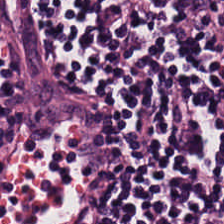Hematoxylin-and-eosin stained section.
The predominant tissue is lymphocyte aggregate.
